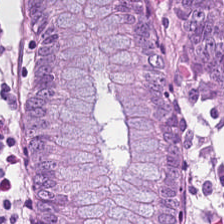H&E-stained tissue section — Histology → normal colonic mucosa.
